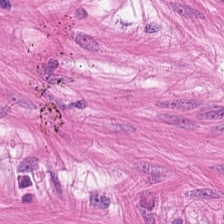Stain: H&E stain.
Tile size: 224×224 pixel tile.
Classification: smooth-muscle tissue.
